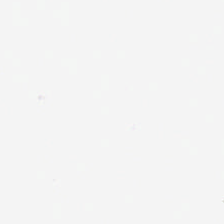WSI patch; hematoxylin-and-eosin stained section; 224×224 px tile — This patch shows background (no tissue).
